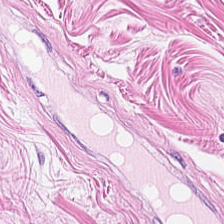H&E-stained tissue section. Histology → smooth-muscle tissue.
